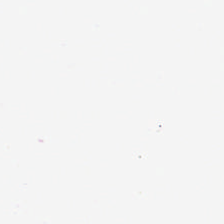H&E stain; brightfield; FFPE.
The classification is background.
